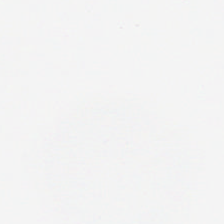Hematoxylin and eosin. Field content: empty background.
